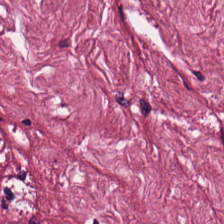H&E — {"tissue_type": "desmoplastic stroma"}
